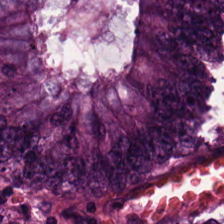H&E-stained tissue section. Brightfield microscopy — This patch shows malignant epithelium.
